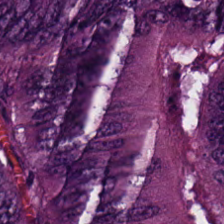Hematoxylin-and-eosin stained section.
Predominantly adenocarcinoma.
